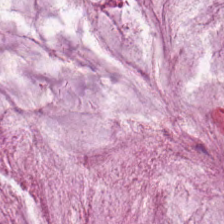H&E-stained tissue section.
The tissue here is mucus.
